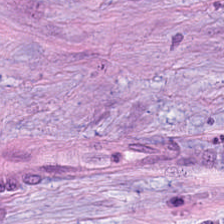0.5 µm per pixel. H&E stain — Showing tumor stroma.
